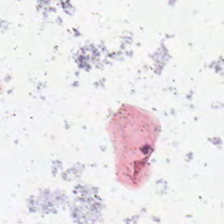Hematoxylin-and-eosin stained section — The field content is background (no tissue).
